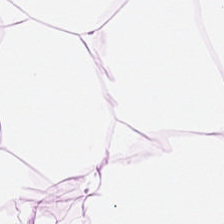Showing fat tissue.
